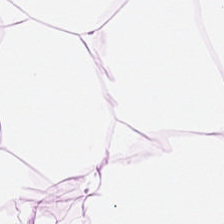Showing fat tissue.
